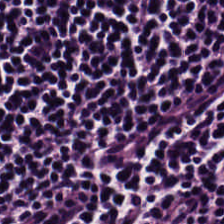H&E stain. 224×224 px tile — The predominant tissue is lymphoid infiltrate.
